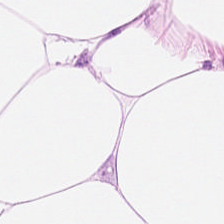0.5 microns per pixel · H&E stain · 224×224 pixel tile.
Q: What type of tissue is this?
A: The field shows adipose tissue.
